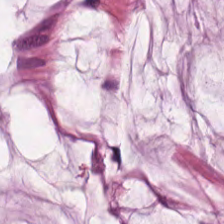0.5 microns per pixel; hematoxylin and eosin. Q: Identify the tissue.
A: It is mucin.
